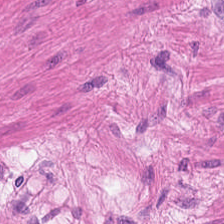H&E-stained section; the field shows smooth muscle.
